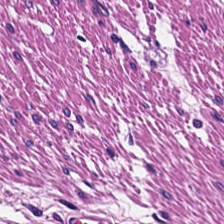Hematoxylin and eosin — Q: What is shown here?
A: Smooth-muscle tissue.
